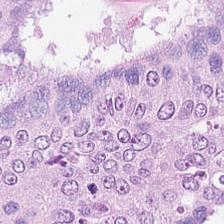Stain: H&E.
Tissue type: malignant epithelium.
